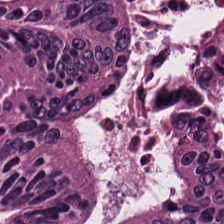H&E stain.
Q: Classify this patch.
A: The field shows colorectal adenocarcinoma epithelium.
